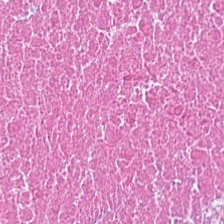H&E-stained section; the field shows necrotic debris.
